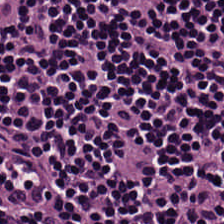H&E-stained tissue section — Impression — lymphocytes.
